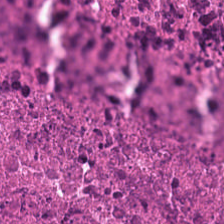224×224 pixel tile; FFPE; hematoxylin-and-eosin stained section — Classification = cellular debris.
